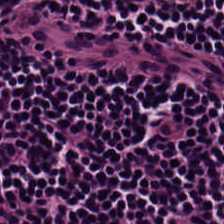Stain: hematoxylin and eosin.
Predominant tissue: lymphoid infiltrate.
